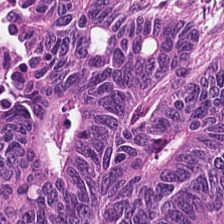20× equivalent magnification · hematoxylin and eosin. Classification: colorectal adenocarcinoma.
